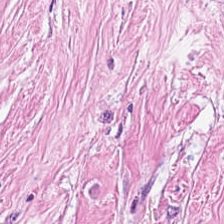224×224 px patch. H&E-stained tissue section. Predominantly desmoplastic stroma.
